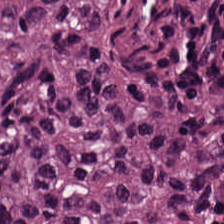Predominant tissue: colorectal adenocarcinoma.
